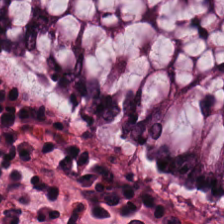FFPE tissue section · hematoxylin and eosin. This patch shows normal colon mucosa.
